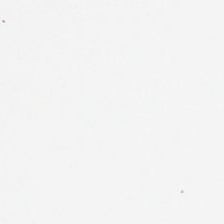Stain: hematoxylin-and-eosin stained section.
Classification: no tissue.
